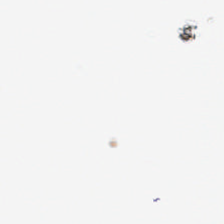{"content": "empty background"}
